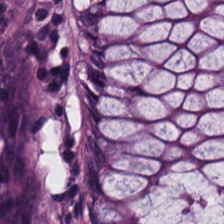This patch shows benign colonic mucosa.
